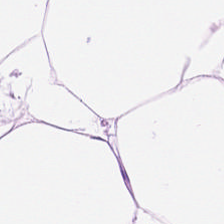Brightfield microscopy; hematoxylin and eosin; formalin-fixed paraffin-embedded section.
Q: What tissue is shown?
A: This is adipose tissue.
